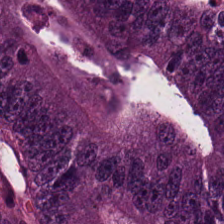H&E — Finding — colorectal adenocarcinoma.
